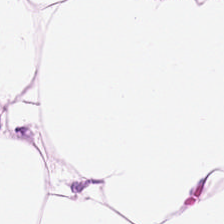WSI patch. 0.5 µm per pixel. Hematoxylin-and-eosin stained section. This field is adipose tissue.
